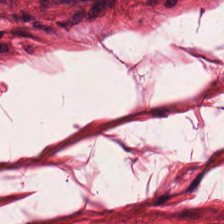Brightfield microscopy. H&E stain.
This field is muscularis.
